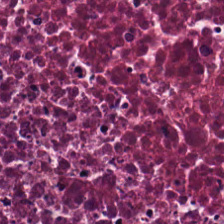H&E-stained tissue section — Predominantly debris.
